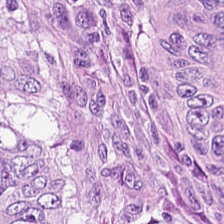H&E — Q: What is shown in this field?
A: Malignant epithelium.
